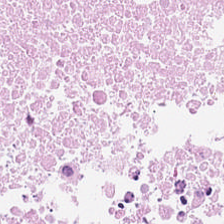Hematoxylin-and-eosin stained section · 0.5 µm/px · 224×224 pixel tile. Tissue class = cellular debris.
